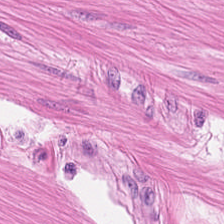H&E patch showing smooth muscle.
